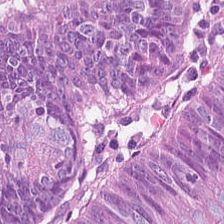224×224 px tile; FFPE tissue section; H&E-stained tissue section.
The tissue class is malignant epithelium.
